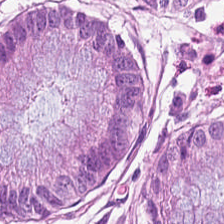H&E-stained tissue section — Tissue type — normal colon mucosa.
